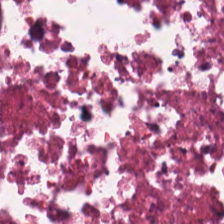H&E stain; whole-slide-image patch — Predominant tissue: cellular debris.
